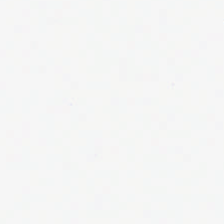H&E-stained tissue section. WSI patch.
This patch shows background (no tissue).
